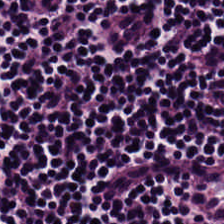Hematoxylin-and-eosin stained section — {"tissue_type": "lymphocytes"}
